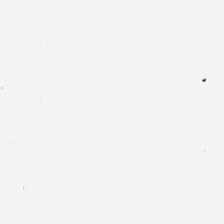224×224 px tile · H&E-stained tissue section — Classification: no tissue.
